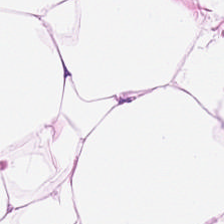Hematoxylin and eosin. The tissue here is adipocytes.
